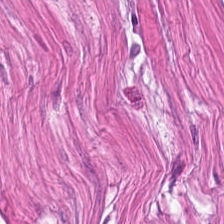Hematoxylin-and-eosin stained section. The predominant tissue is smooth muscle.
